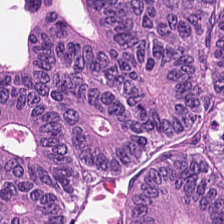Predominantly tumor epithelium.
